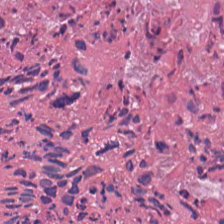Q: What is shown here?
A: This is debris.
